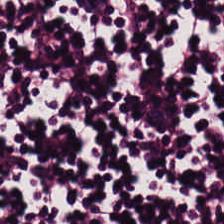0.5 µm/px. 224×224 pixel tile. H&E-stained tissue section — The tissue is lymphocytes.
